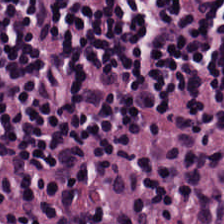Hematoxylin and eosin. The tissue is lymphoid infiltrate.
